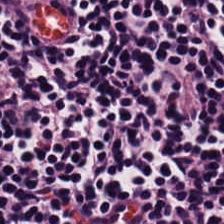Q: What tissue type is shown here?
A: This is lymphocyte aggregate.
